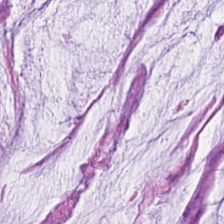Hematoxylin-and-eosin stained section; 224×224 pixel tile — Impression — mucus.
